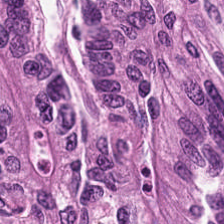The tissue type is adenocarcinoma.
